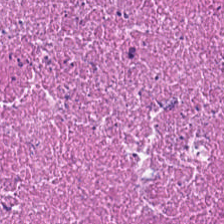H&E.
Cellular debris.
